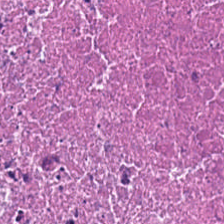Q: What does this patch show?
A: Cellular debris.
